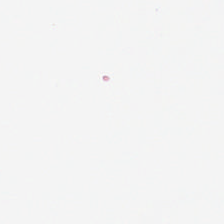Stain: H&E-stained tissue section.
Preparation: FFPE tissue section.
Acquisition: WSI patch.
Classification: background (no tissue).
